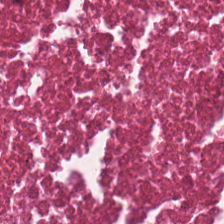Stain: H&E-stained tissue section.
Tissue: necrotic debris.
